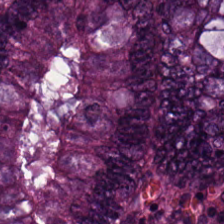H&E-stained tissue section showing malignant epithelium.
